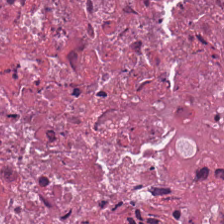Hematoxylin-and-eosin stained section — This field is cellular debris.
